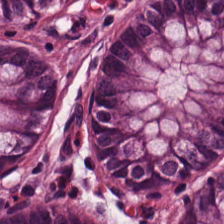Stain: hematoxylin and eosin.
Acquisition: WSI patch.
Predominant tissue: normal colonic mucosa.
